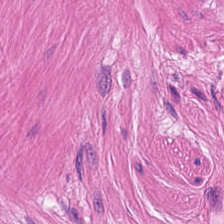224×224 px patch. Hematoxylin-and-eosin stained section. {"tissue_type": "smooth-muscle tissue"}
